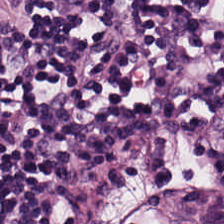Tissue: lymphocytic infiltrate.
